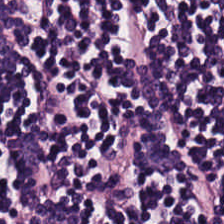Predominant tissue: lymphocytic infiltrate.
